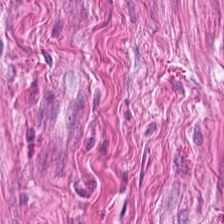Brightfield · H&E-stained tissue section — Q: Classify this patch.
A: The field shows smooth-muscle tissue.
